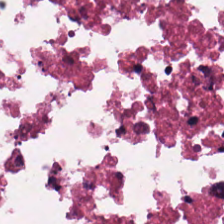H&E stain.
This patch shows cellular debris.
